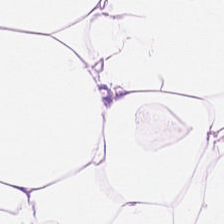H&E-stained tissue section showing adipocytes.
